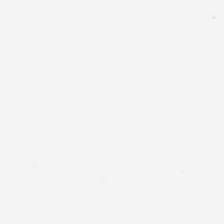Finding — empty background.
